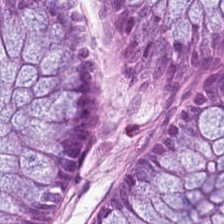Finding — normal colonic mucosa.
